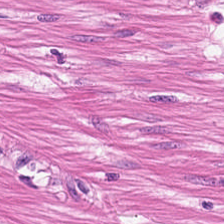H&E · formalin-fixed paraffin-embedded section · brightfield microscopy.
Predominantly muscularis.
